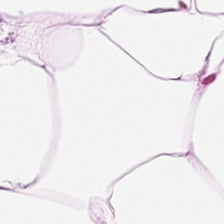224×224 px tile; H&E — The predominant tissue is adipocytes.
